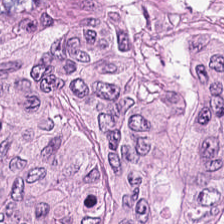H&E patch showing adenocarcinoma.
